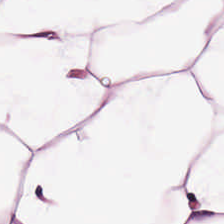H&E-stained tissue section; 0.5 microns per pixel — Fat tissue.
